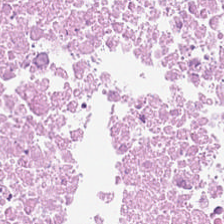H&E-stained tissue section.
Debris.
